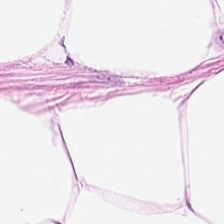H&E · 224×224 px tile — The predominant tissue is adipocytes.
